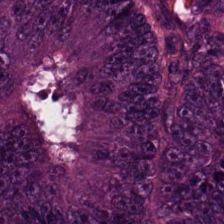Stain: H&E-stained tissue section.
Preparation: FFPE.
Tile size: 224×224 px patch.
Tissue class: adenocarcinoma.
